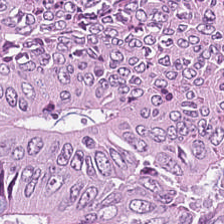Hematoxylin-and-eosin stained section.
Finding → colorectal adenocarcinoma.
